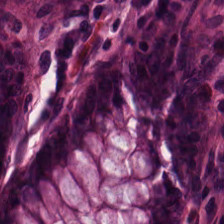H&E-stained tissue section · WSI patch.
The tissue type is non-neoplastic colon mucosa.
